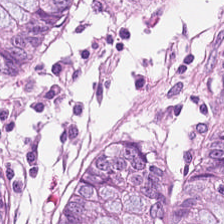224×224 px tile; hematoxylin-and-eosin stained section. Predominant tissue — non-neoplastic colon mucosa.
